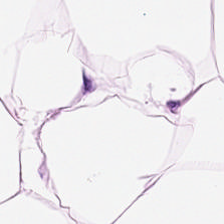H&E-stained tissue section — Predominantly adipose.
